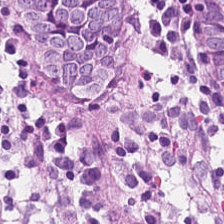Classification = normal colonic mucosa.
